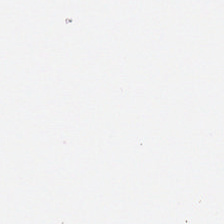Impression → background (no tissue).
